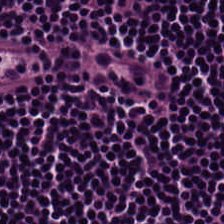20× equivalent magnification · hematoxylin-and-eosin stained section · FFPE — Tissue: lymphocyte aggregate.
